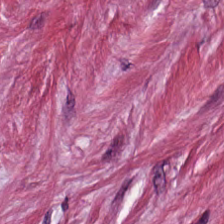Classification = tumor stroma.
